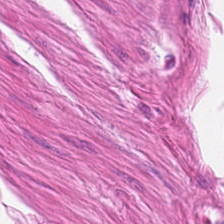Hematoxylin-and-eosin stained section; 224×224 pixel tile; 20× equivalent magnification.
Tissue type: muscularis.
